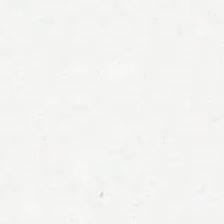H&E stain.
This field is background (no tissue).
